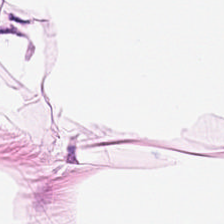Hematoxylin-and-eosin stained section.
This patch shows adipose tissue.
